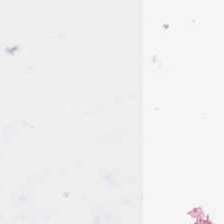Formalin-fixed paraffin-embedded section · hematoxylin-and-eosin stained section.
Histology → empty background.
